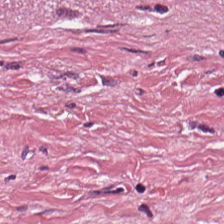Brightfield microscopy; hematoxylin-and-eosin stained section.
{"tissue_type": "tumor stroma"}
